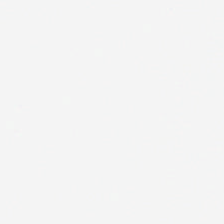Hematoxylin and eosin — Q: What is shown in this field?
A: The field shows background (no tissue).
